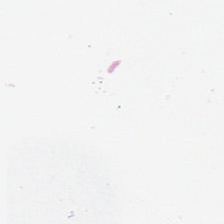FFPE. WSI patch. H&E stain. Q: What does this patch show?
A: The field shows background.
